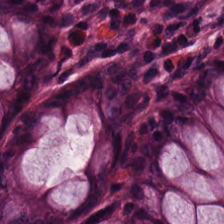H&E-stained tissue section · FFPE — The tissue here is normal colon mucosa.
